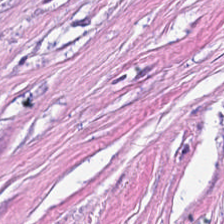H&E stain — Q: Classify this patch.
A: Desmoplastic stroma.
